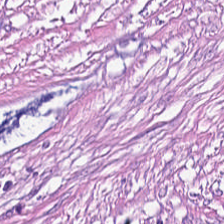Stain: hematoxylin-and-eosin stained section.
Classification: tumor-associated stroma.
